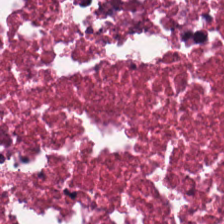Hematoxylin and eosin. Histology — necrotic debris.
